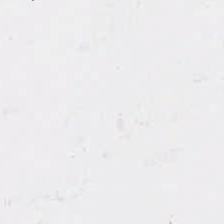FFPE. Hematoxylin-and-eosin stained section — Content: background (no tissue).
